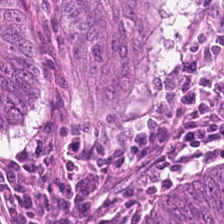H&E stain. The predominant tissue is malignant epithelium.
